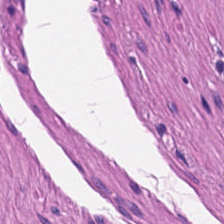Hematoxylin-and-eosin stained section. 224×224 px patch. Brightfield microscopy. The tissue here is muscularis.
